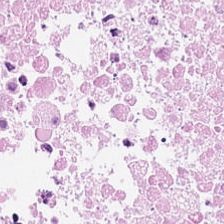H&E — cellular debris.
